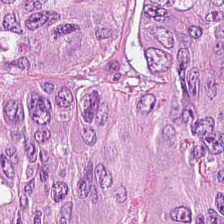224×224 px patch · hematoxylin and eosin — Predominant tissue — colorectal adenocarcinoma.
